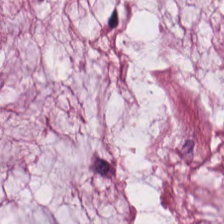This field is mucin.
